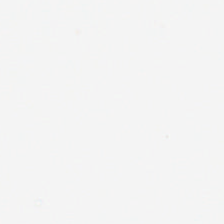WSI patch; H&E. No tissue.
